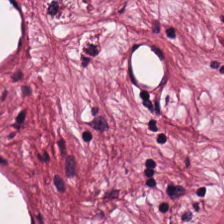Q: What tissue is shown?
A: It is desmoplastic stroma.
